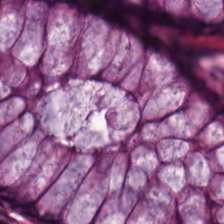Hematoxylin and eosin — Predominant tissue: benign colonic mucosa.
